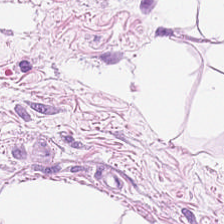Formalin-fixed paraffin-embedded section; hematoxylin-and-eosin stained section.
Predominant tissue = adipose.
